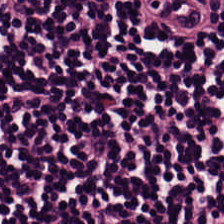Hematoxylin-and-eosin stained section. Classification = lymphocytes.
